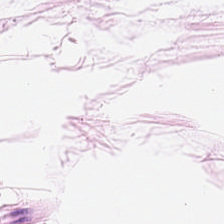Brightfield microscopy; 224×224 px tile; hematoxylin and eosin.
Predominantly adipose.
